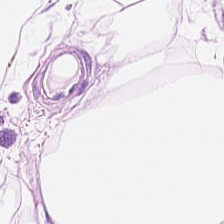Hematoxylin and eosin.
The tissue type is adipose.
